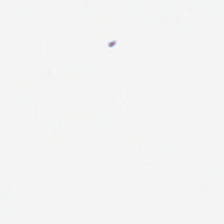Hematoxylin-and-eosin stained section · brightfield — Q: Classify this patch.
A: The field shows empty background.
